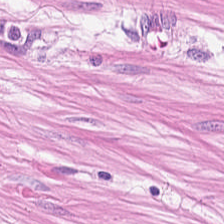Whole-slide-image patch; 0.5 µm/px; hematoxylin-and-eosin stained section — Tissue — smooth muscle.
